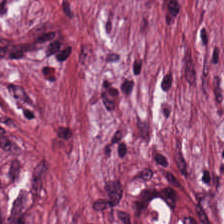H&E-stained tissue section. This field is tumor stroma.
